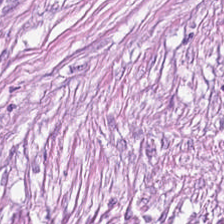H&E-stained tissue section — Impression — cancer-associated stroma.
